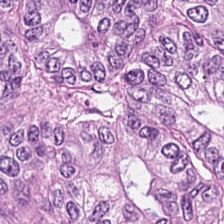WSI patch · H&E stain. Q: What is shown here?
A: This is tumor epithelium.
